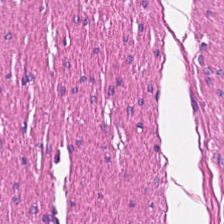H&E — The tissue class is smooth muscle.
